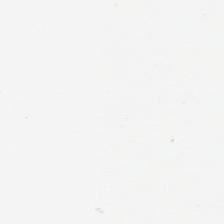Formalin-fixed paraffin-embedded section; hematoxylin and eosin. Q: What does this patch show?
A: The field shows background.
